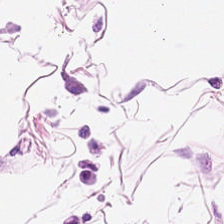224×224 px tile. Hematoxylin and eosin. Showing adipose.
